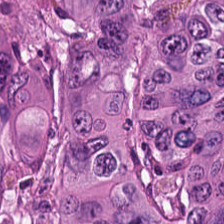H&E patch showing tumor epithelium.
